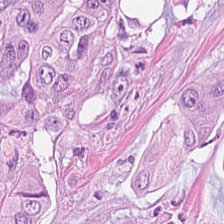H&E stain. 224×224 pixel tile.
Predominant tissue = colorectal adenocarcinoma epithelium.
